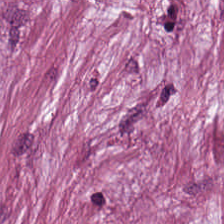H&E; 0.5 microns per pixel. Predominantly tumor-associated stroma.
